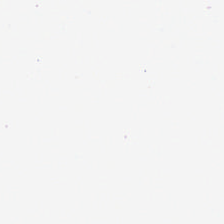FFPE tissue section. Hematoxylin-and-eosin stained section. Whole-slide-image patch. Q: What does this patch show?
A: The field shows background.
